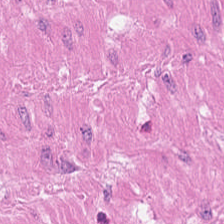0.5 microns per pixel. Whole-slide-image patch. Hematoxylin-and-eosin stained section. Finding — muscularis.
